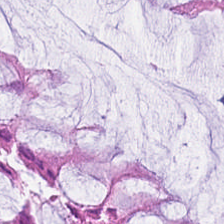Finding — normal colon mucosa.
